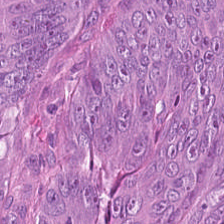H&E stain; 0.5 microns per pixel.
The tissue here is adenocarcinoma.
